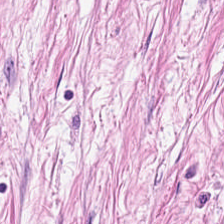H&E-stained tissue section. The tissue class is tumor-associated stroma.
